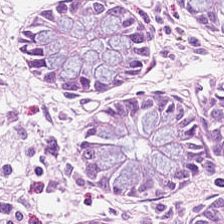WSI patch. H&E-stained tissue section. Formalin-fixed paraffin-embedded section.
The tissue here is normal colonic mucosa.
